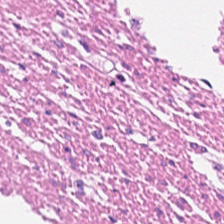H&E stain.
Impression — muscularis.
